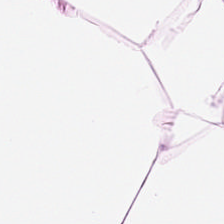Classification = adipose tissue.
